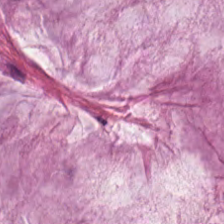Stain: H&E.
Tissue type: extracellular mucin.
